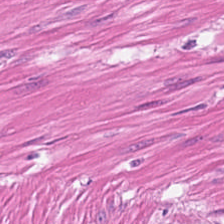Histology → smooth-muscle tissue.
